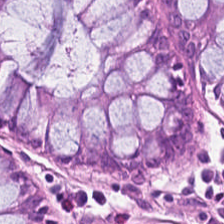Hematoxylin and eosin.
Showing normal colon mucosa.
